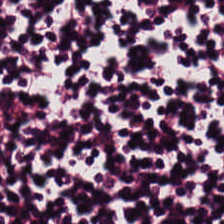H&E. {"tissue_type": "lymphocytic infiltrate"}
